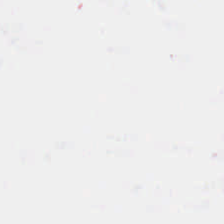H&E; brightfield microscopy.
Histology → background (no tissue).
